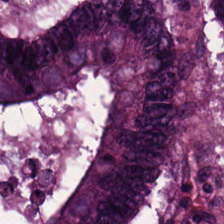H&E.
{"tissue_type": "adenocarcinoma"}
